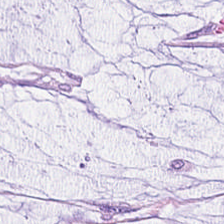WSI patch; H&E stain.
The predominant tissue is mucus.
